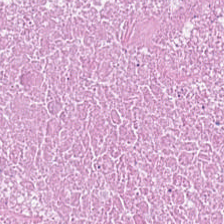H&E-stained tissue section.
Impression → necrotic debris.
